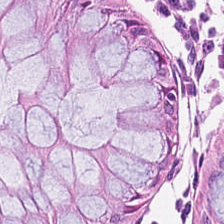Hematoxylin-and-eosin section: benign colonic mucosa.
